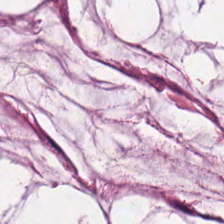H&E-stained tissue section — Q: What type of tissue is this?
A: This is mucus.
